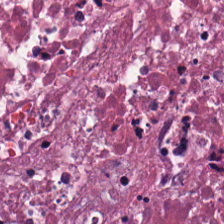H&E stain. FFPE.
Classification: debris.
